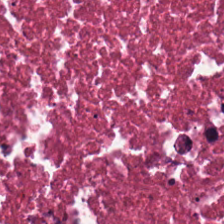H&E stain; formalin-fixed paraffin-embedded section.
The tissue is debris.
